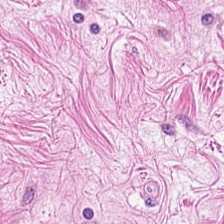H&E. Formalin-fixed paraffin-embedded section — Smooth muscle.
